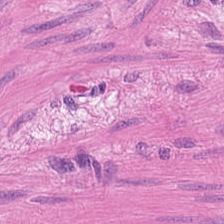Histology → muscularis.
